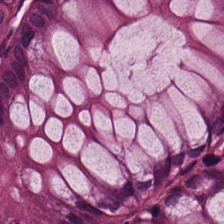Q: What type of tissue is this?
A: This is normal colonic mucosa.
